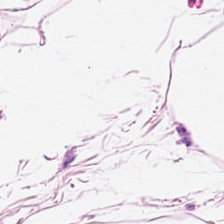Stain: hematoxylin and eosin.
Acquisition: WSI patch.
Predominant tissue: fat tissue.
